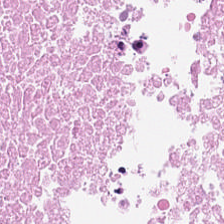Hematoxylin-and-eosin stained section. Q: What is shown here?
A: The field shows debris.
